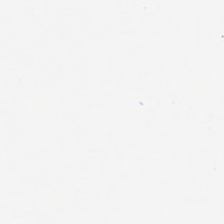Stain: H&E stain.
Content: background.
